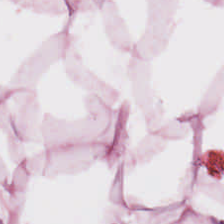H&E stain.
Showing fat tissue.
